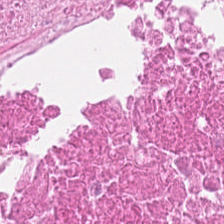Brightfield. 0.5 µm per pixel. H&E — Tissue class: cellular debris.
